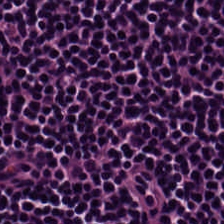H&E-stained tissue section. Brightfield microscopy. 224×224 pixel tile — Tissue class = lymphocyte aggregate.
